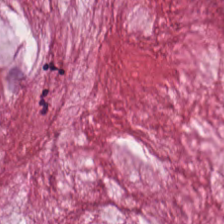Hematoxylin-and-eosin stained section; 0.5 microns per pixel — Predominant tissue: mucus.
